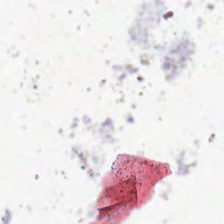224×224 px tile; hematoxylin and eosin.
Finding — background.
